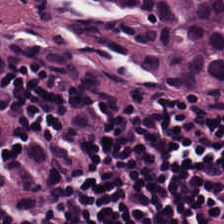Hematoxylin and eosin. Predominantly lymphocytic infiltrate.
